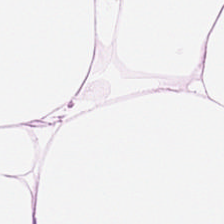Finding — adipocytes.
